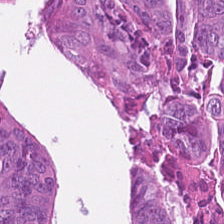H&E stain; formalin-fixed paraffin-embedded section.
Tumor epithelium.
